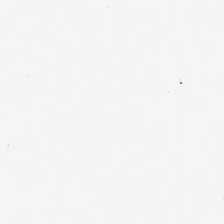H&E stain. No tissue present; background only.
